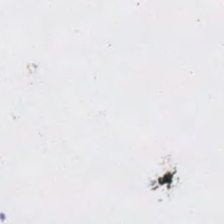0.5 µm/px. Hematoxylin-and-eosin stained section.
Empty field — no tissue.
